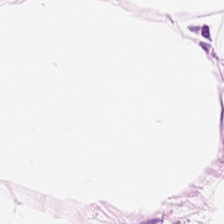H&E-stained tissue section.
Predominantly adipose tissue.
